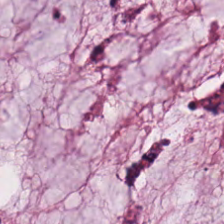Tissue type = mucus.
